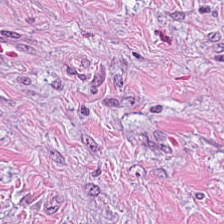H&E stain — Finding → desmoplastic stroma.
